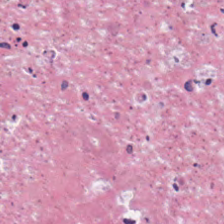H&E-stained tissue section. Showing cellular debris.
